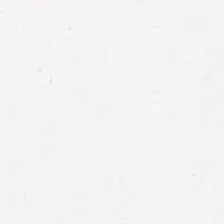Hematoxylin and eosin. Classification — empty background.
